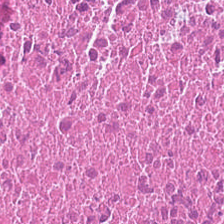Whole-slide-image patch. H&E — Q: What does this patch show?
A: This is necrotic debris.
